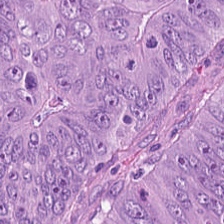Hematoxylin and eosin — This patch shows adenocarcinoma.
